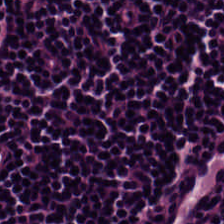H&E-stained tissue section — Tissue — lymphocytic infiltrate.
